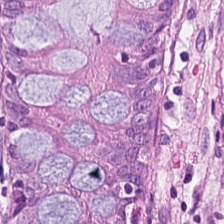H&E patch showing normal colonic mucosa.
